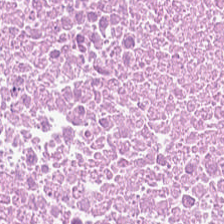H&E stain.
{"tissue_type": "necrotic debris"}
